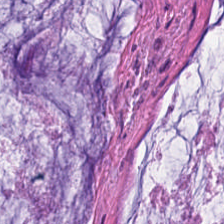H&E stain. 224×224 pixel tile. Formalin-fixed paraffin-embedded section. Showing mucus.
